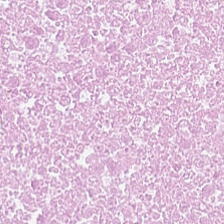Stain: H&E stain.
Tissue: necrotic debris.
